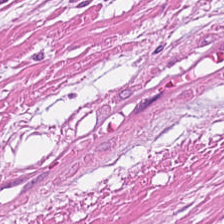Predominant tissue = smooth-muscle tissue.
